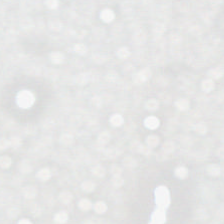WSI patch; hematoxylin and eosin — Q: What is shown here?
A: It is background.
